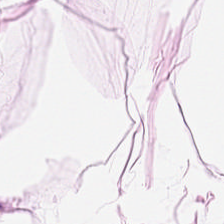H&E stain. Predominant tissue: adipocytes.
